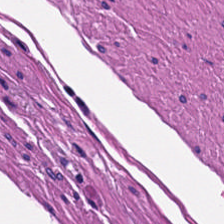Stain: H&E stain.
Acquisition: whole-slide-image patch.
Tissue class: smooth-muscle tissue.
